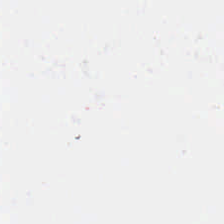WSI patch; hematoxylin-and-eosin stained section.
This patch shows background.
